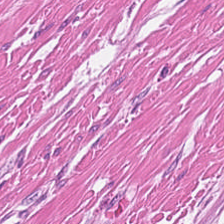Hematoxylin and eosin · 0.5 µm per pixel.
Tissue class = smooth muscle.
